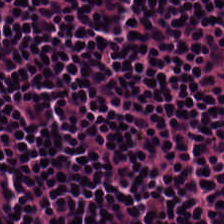Lymphocytes.
